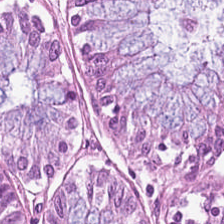Hematoxylin and eosin. {"tissue_type": "non-neoplastic colon mucosa"}
